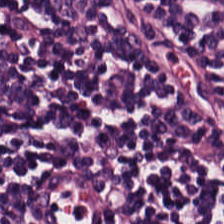{"tissue_type": "lymphoid infiltrate"}
